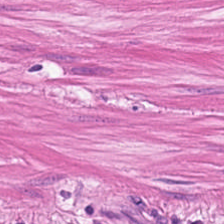H&E-stained tissue section.
The classification is smooth-muscle tissue.
